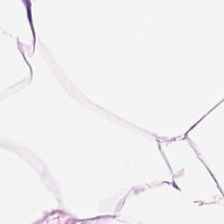Predominant tissue — adipose.
